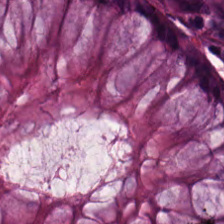H&E — Normal colonic mucosa.
